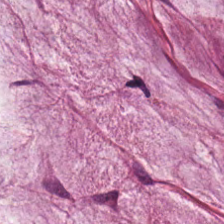Showing extracellular mucin.
